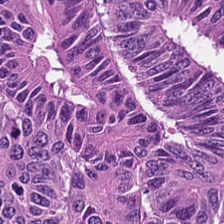0.5 µm/px · hematoxylin-and-eosin stained section — Showing colorectal adenocarcinoma.
